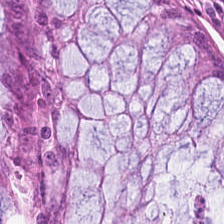Predominantly non-neoplastic colon mucosa.
